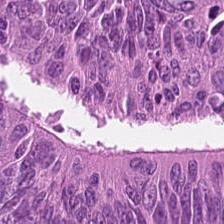H&E stain · whole-slide-image patch · formalin-fixed paraffin-embedded section.
The predominant tissue is malignant epithelium.
